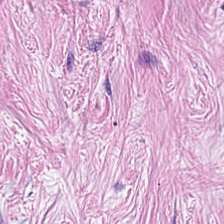Formalin-fixed paraffin-embedded section · H&E · 20× equivalent magnification.
Predominantly tumor stroma.
